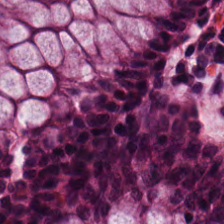H&E-stained tissue section. FFPE tissue section — Tissue class: non-neoplastic colon mucosa.
